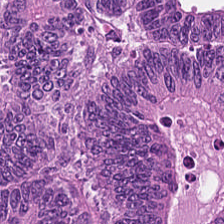H&E; formalin-fixed paraffin-embedded section. Q: What is shown here?
A: It is tumor epithelium.
